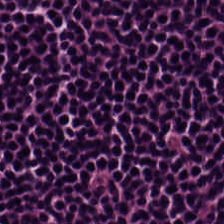Q: What tissue is shown?
A: Lymphocytic infiltrate.
